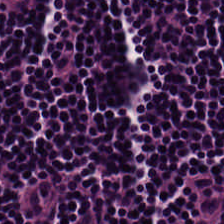FFPE · hematoxylin and eosin.
Classification = lymphoid infiltrate.
